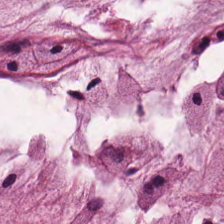Tissue: mucin.
